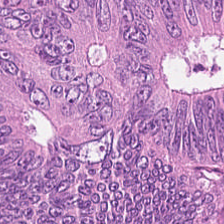Hematoxylin and eosin. Predominantly adenocarcinoma.
